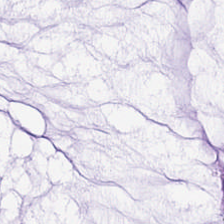H&E-stained tissue section.
This field is extracellular mucin.
